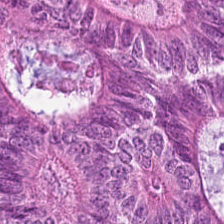H&E-stained tissue section showing colorectal adenocarcinoma epithelium.
